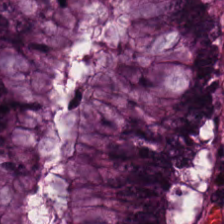The tissue type is normal colonic mucosa.
